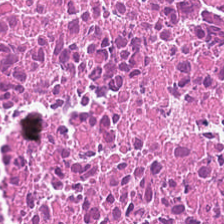224×224 px tile · 0.5 microns per pixel · H&E.
Debris.
